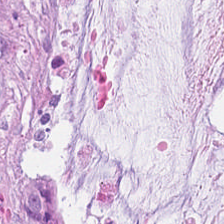H&E-stained tissue section. 224×224 px tile.
Tissue type — mucin.
